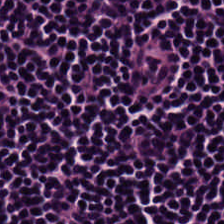20× equivalent magnification. H&E stain. Brightfield microscopy — Q: Identify the tissue.
A: The field shows lymphocytes.
